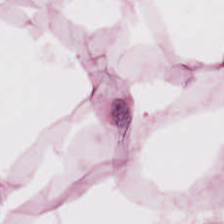Hematoxylin and eosin. The tissue is adipose.
